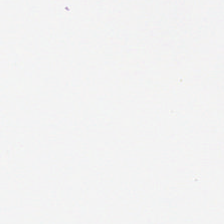H&E-stained tissue section. Histology → empty background.
